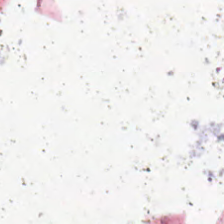H&E; brightfield; formalin-fixed paraffin-embedded section — The content is background.
